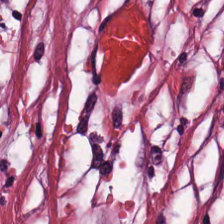Q: What does this patch show?
A: Cancer-associated stroma.
